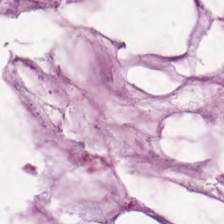Histology → extracellular mucin.
